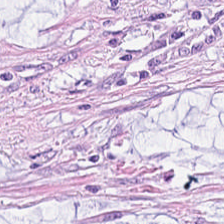H&E stain — Q: What does this patch show?
A: This is mucus.
